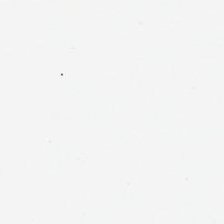Stain: H&E stain.
Classification: no tissue.
